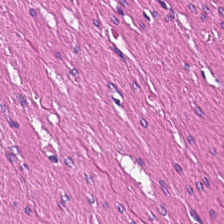Hematoxylin and eosin. FFPE tissue section. The tissue class is smooth-muscle tissue.
